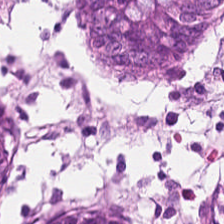Hematoxylin and eosin — The tissue here is non-neoplastic colon mucosa.
